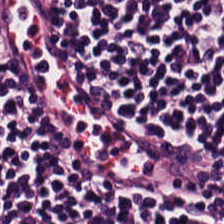Stain: H&E.
Preparation: formalin-fixed paraffin-embedded section.
Resolution: 0.5 µm per pixel.
Classification: lymphocyte aggregate.
